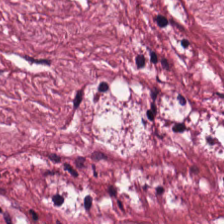0.5 microns per pixel. Hematoxylin-and-eosin stained section. 224×224 px tile.
Impression — desmoplastic stroma.
